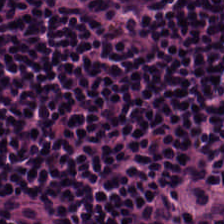Hematoxylin and eosin; 224×224 px patch. Lymphocyte aggregate.
